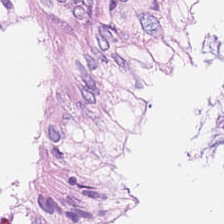Brightfield; 0.5 µm per pixel; H&E-stained tissue section — Tissue: non-neoplastic colon mucosa.
